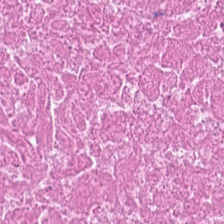H&E stain.
The predominant tissue is debris.
